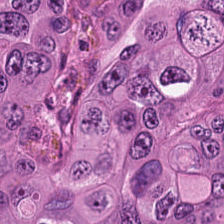FFPE. H&E-stained tissue section.
Tissue: malignant epithelium.
